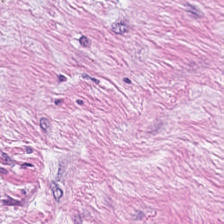H&E · brightfield.
The predominant tissue is cancer-associated stroma.
